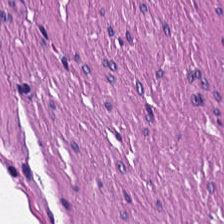H&E stain · 224×224 px patch. Tissue type — smooth muscle.
